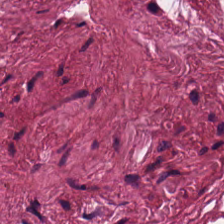H&E. Q: What type of tissue is this?
A: Desmoplastic stroma.
